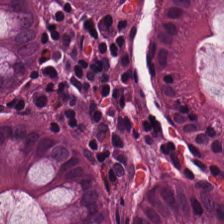Hematoxylin and eosin. Q: What type of tissue is this?
A: Non-neoplastic colon mucosa.
